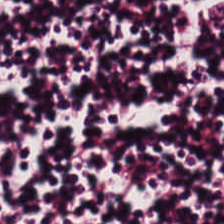224×224 px tile. Hematoxylin-and-eosin stained section.
Tissue class — lymphocytic infiltrate.
